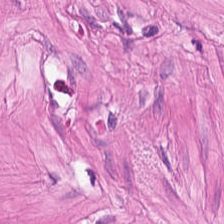Impression — smooth-muscle tissue.
